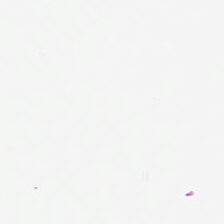Background — no tissue in this field.
